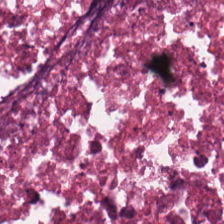{"tissue_type": "debris"}
